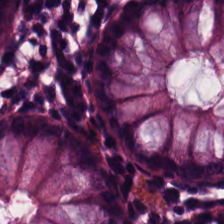Showing normal colonic mucosa.
